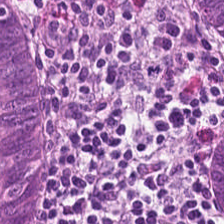H&E-stained tissue section.
Predominant tissue — benign colonic mucosa.
